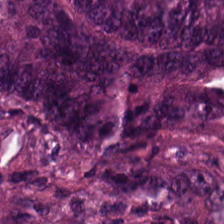Hematoxylin and eosin. FFPE. 0.5 µm per pixel.
Impression — colorectal adenocarcinoma.
